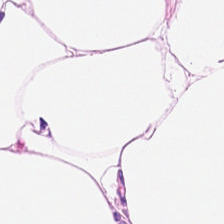H&E. 0.5 microns per pixel. Classification — adipocytes.
